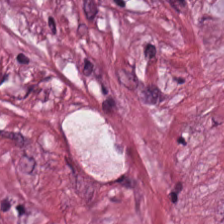WSI patch. 224×224 px patch. H&E.
Finding — tumor-associated stroma.
